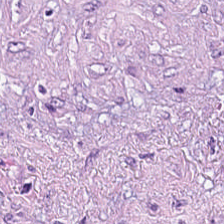Hematoxylin-and-eosin stained section · 224×224 px patch · formalin-fixed paraffin-embedded section.
Tissue class = tumor stroma.
